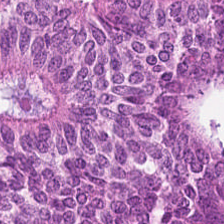FFPE tissue section. H&E stain — {"tissue_type": "malignant epithelium"}
